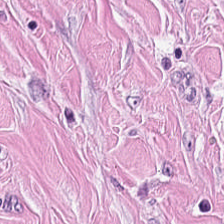H&E · 0.5 µm/px. Tumor-associated stroma.
